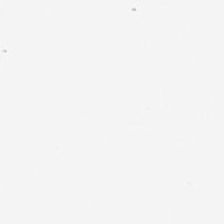Empty field — background (no tissue).
